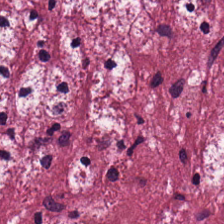Stain: H&E.
Classification: desmoplastic stroma.
